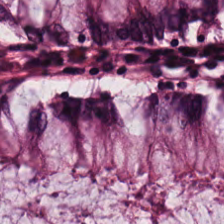H&E; FFPE tissue section.
Showing non-neoplastic colon mucosa.
